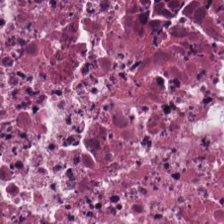H&E stain.
Tissue class — cellular debris.
